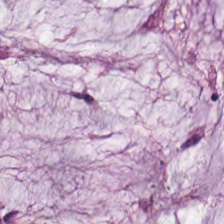Tissue class: mucus.
